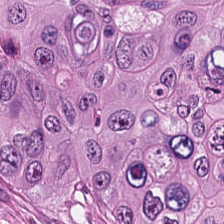Q: What type of tissue is this?
A: Tumor epithelium.
